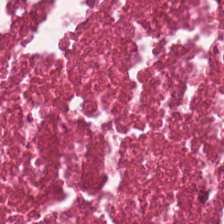H&E.
Necrotic debris.
